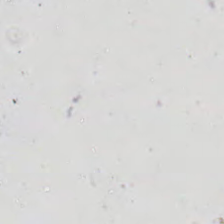H&E-stained tissue section.
No tissue.
